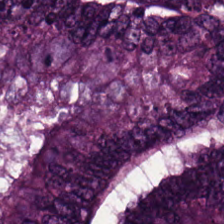Hematoxylin and eosin.
The predominant tissue is colorectal adenocarcinoma epithelium.
